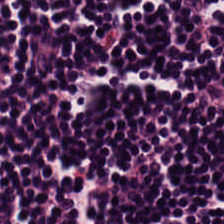Classification: lymphoid infiltrate.
